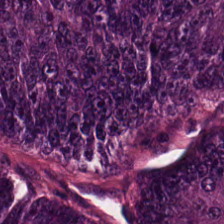224×224 px tile; hematoxylin-and-eosin stained section; WSI patch — Finding → colorectal adenocarcinoma.
